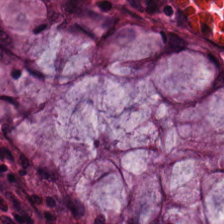H&E-stained tissue section showing benign colonic mucosa.
